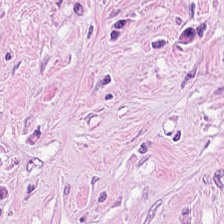Hematoxylin-and-eosin stained section.
Tissue class — tumor stroma.
